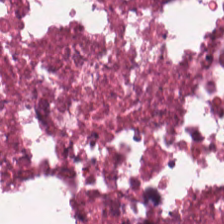Histology — debris.
